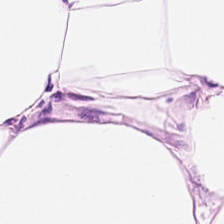Hematoxylin-and-eosin stained section · 224×224 px tile.
Classification = adipocytes.
